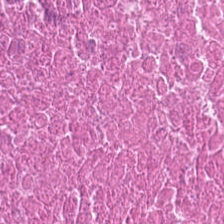Hematoxylin-and-eosin stained section; 0.5 microns per pixel. Tissue type: necrotic debris.
